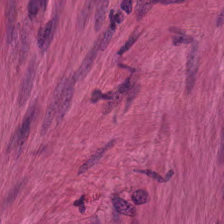FFPE tissue section. H&E-stained tissue section. The tissue here is smooth muscle.
